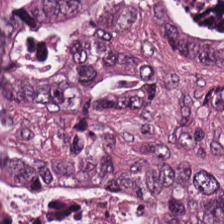Hematoxylin and eosin. The tissue here is tumor epithelium.
